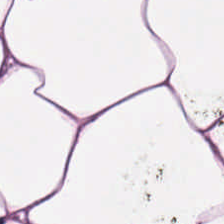FFPE. H&E stain — Predominant tissue — fat tissue.
